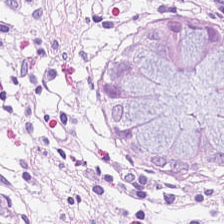H&E stain — Q: Identify the tissue.
A: This is non-neoplastic colon mucosa.
